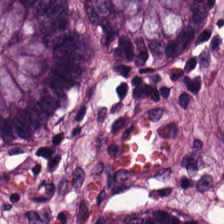H&E stain — The predominant tissue is normal colonic mucosa.
